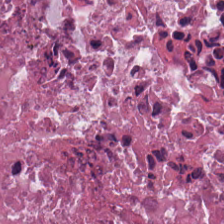20× equivalent magnification · 224×224 px patch · hematoxylin-and-eosin stained section — Classification: necrotic debris.
